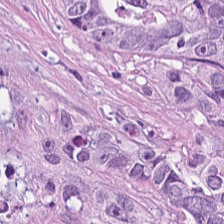Classification — desmoplastic stroma.
